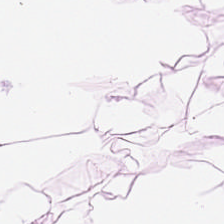H&E-stained section; the field shows adipose tissue.
